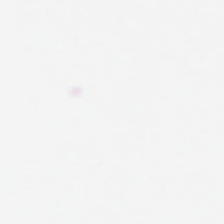Background — no tissue in this field.
